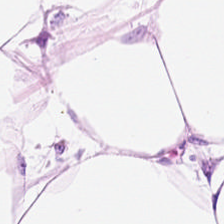Hematoxylin and eosin. Brightfield.
{"tissue_type": "adipose"}
